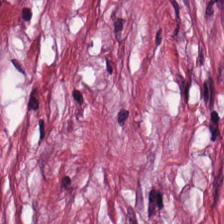Formalin-fixed paraffin-embedded section; 224×224 pixel tile; hematoxylin-and-eosin stained section — The tissue here is cancer-associated stroma.
